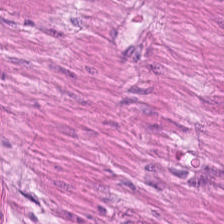0.5 microns per pixel. 224×224 pixel tile. Hematoxylin-and-eosin stained section.
This patch shows muscularis.
